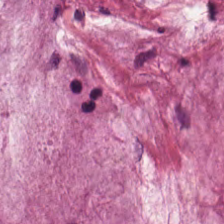Hematoxylin-and-eosin stained section; 224×224 px tile; 20× equivalent magnification. Predominant tissue: mucus.
